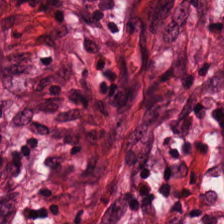Hematoxylin-and-eosin stained section. The tissue here is tumor-associated stroma.
